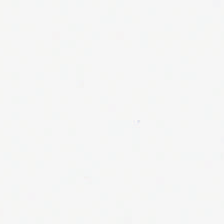0.5 µm/px. 224×224 px tile. Hematoxylin-and-eosin stained section.
Field content — background (no tissue).
